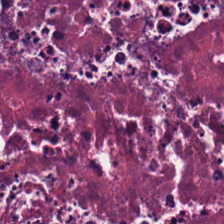H&E stain. Brightfield.
The tissue here is cellular debris.
